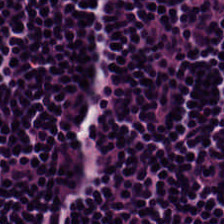Hematoxylin-and-eosin stained section. The predominant tissue is lymphocyte aggregate.
